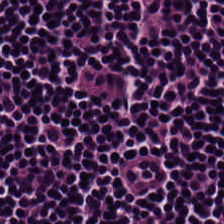Brightfield microscopy · H&E stain · formalin-fixed paraffin-embedded section — {"tissue_type": "lymphocyte aggregate"}
